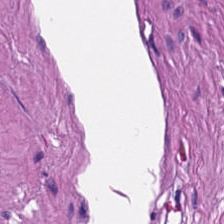The tissue class is smooth-muscle tissue.
